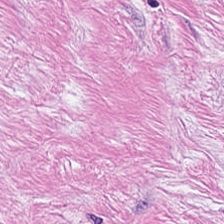H&E. Classification: tumor stroma.
